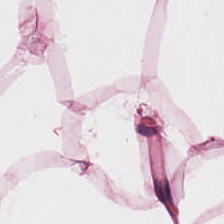This patch shows adipocytes.
